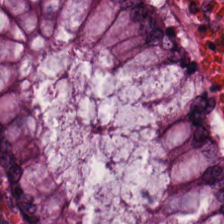H&E stain. Formalin-fixed paraffin-embedded section.
The predominant tissue is normal colonic mucosa.
